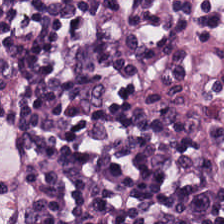H&E stain — Histology → lymphocytes.
